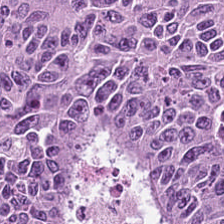Hematoxylin-and-eosin stained section — This field is tumor epithelium.
